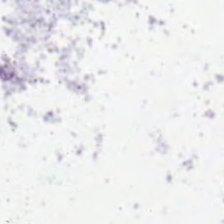H&E. Empty field — empty background.
